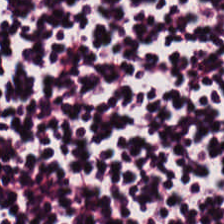Histology → lymphocyte aggregate.
